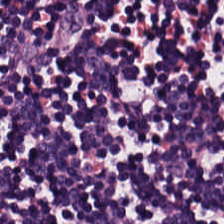Stain: H&E-stained tissue section.
Tissue type: lymphocytic infiltrate.
